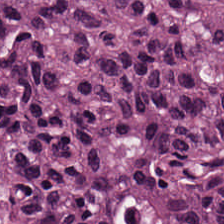H&E stain — This patch shows malignant epithelium.
